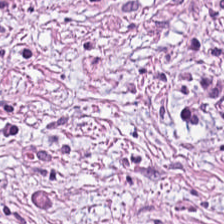H&E; formalin-fixed paraffin-embedded section — Histology → cancer-associated stroma.
